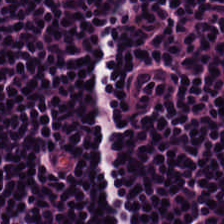H&E-stained tissue section. Formalin-fixed paraffin-embedded section.
This field is lymphocytic infiltrate.
